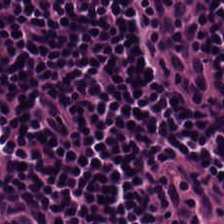H&E. The classification is lymphocyte aggregate.
